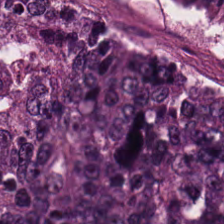H&E — Showing colorectal adenocarcinoma.
